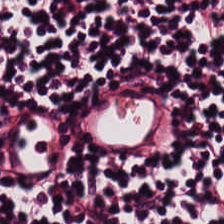Stain: hematoxylin-and-eosin stained section.
Classification: lymphocytic infiltrate.
